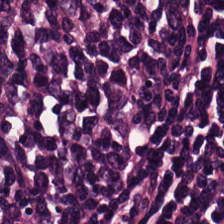H&E; 224×224 px patch; brightfield — Showing lymphocyte aggregate.
